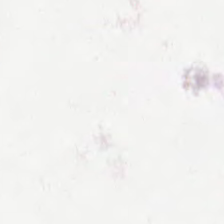H&E.
Content — background.
